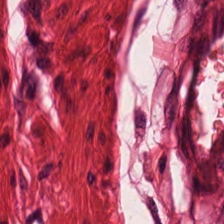Hematoxylin and eosin. 0.5 µm per pixel.
Tissue type: muscularis.
